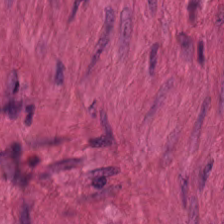H&E-stained tissue section.
Impression — muscularis.
